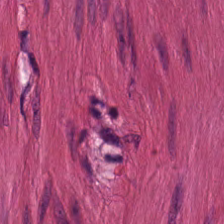0.5 microns per pixel · H&E. The tissue here is smooth muscle.
